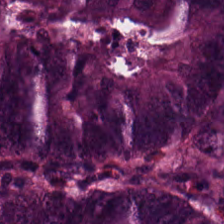H&E-stained tissue section. WSI patch. The tissue here is adenocarcinoma.
